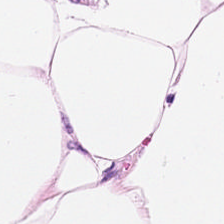H&E stain. Whole-slide-image patch. Tissue type: adipose tissue.
